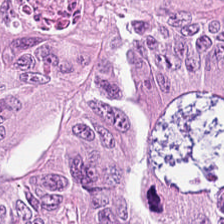Hematoxylin and eosin — The tissue is tumor epithelium.
